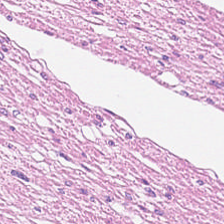224×224 px tile; 0.5 µm per pixel; H&E stain. The tissue class is muscularis.
